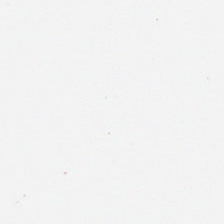The content is empty background.
